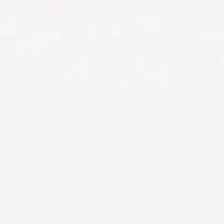{"content": "background"}
